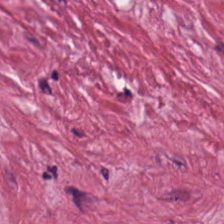H&E — tumor stroma.
